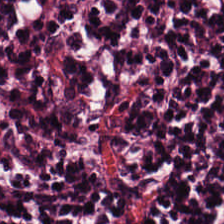{"tissue_type": "lymphocyte aggregate"}
